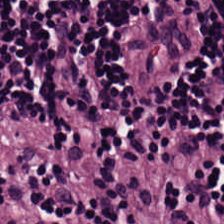224×224 px tile; H&E. Q: What does this patch show?
A: Lymphocytic infiltrate.
